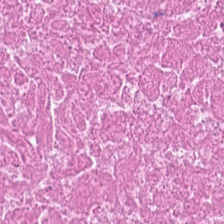H&E stain. Debris.
